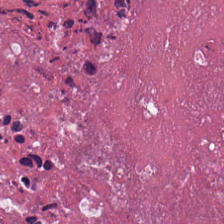Stain: hematoxylin-and-eosin stained section.
Tissue class: cellular debris.
